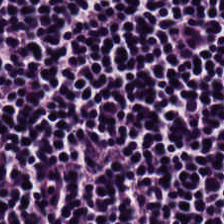Q: What does this patch show?
A: It is lymphoid infiltrate.
